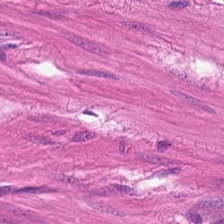Hematoxylin-and-eosin stained section · 224×224 pixel tile — Tissue class = muscularis.
